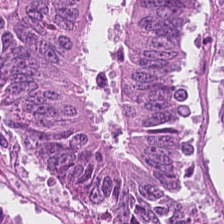Predominantly adenocarcinoma.
